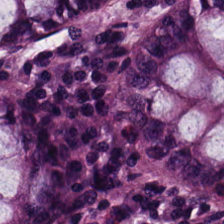Hematoxylin-and-eosin stained section. 224×224 px patch — Q: What tissue type is shown here?
A: It is normal colon mucosa.
